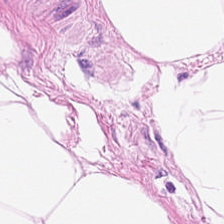Stain: hematoxylin and eosin.
Resolution: 0.5 microns per pixel.
Tile size: 224×224 px tile.
Tissue: adipocytes.
